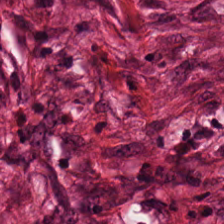FFPE tissue section · 224×224 pixel tile · H&E. Classification — desmoplastic stroma.
